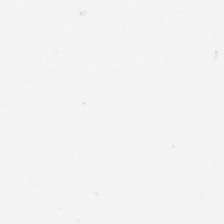H&E stain — Q: What is shown in this field?
A: This is no tissue.
